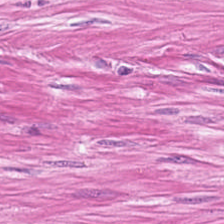Hematoxylin and eosin. The tissue type is smooth muscle.
